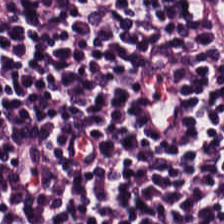The predominant tissue is lymphocyte aggregate.
